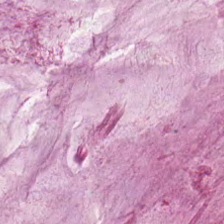Hematoxylin and eosin. 224×224 px patch. Q: What tissue is shown?
A: Mucus.
